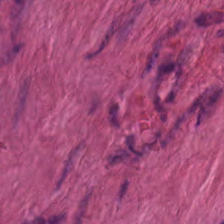H&E; brightfield — Tissue class = muscularis.
